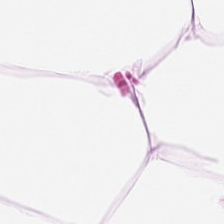FFPE tissue section; hematoxylin and eosin.
Classification — fat tissue.
